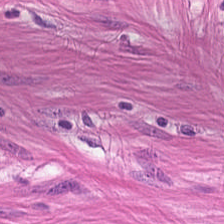Stain: H&E-stained tissue section.
Tissue: muscularis.
